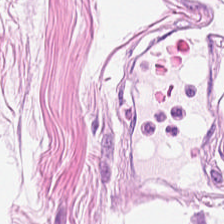H&E-stained tissue section.
Finding — adipose tissue.
